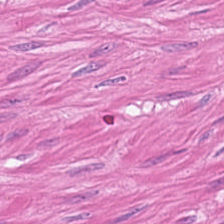FFPE tissue section; H&E; 224×224 px tile. Tissue type = muscularis.
